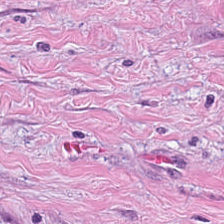WSI patch; 0.5 µm/px; H&E.
Q: What type of tissue is this?
A: It is cancer-associated stroma.
